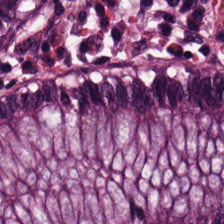H&E-stained tissue section — The tissue type is normal colon mucosa.
